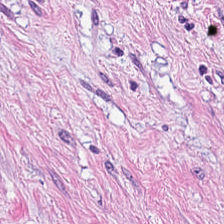Finding → tumor-associated stroma.
